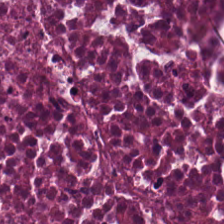H&E. Q: What type of tissue is this?
A: This is debris.
